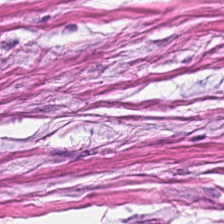This patch shows cancer-associated stroma.
